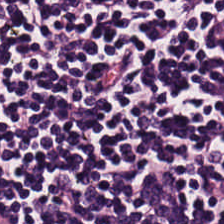H&E.
Tissue type: lymphoid infiltrate.
